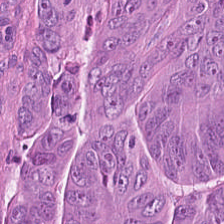H&E stain; FFPE; 224×224 px tile — Predominantly malignant epithelium.
